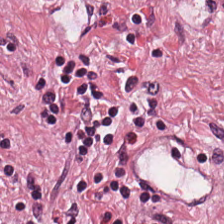H&E-stained tissue section. This patch shows tumor-associated stroma.
